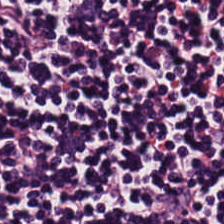Tissue — lymphocyte aggregate.
